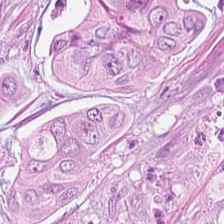Hematoxylin-and-eosin stained section.
The tissue here is adenocarcinoma.
